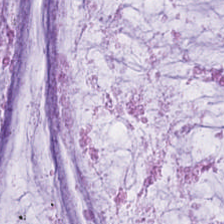H&E stain; brightfield microscopy; 0.5 microns per pixel — Q: Classify this patch.
A: This is extracellular mucin.
